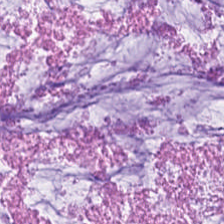Hematoxylin-and-eosin stained section.
Q: What type of tissue is this?
A: Mucus.
